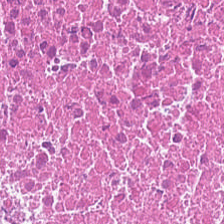H&E-stained tissue section.
This patch shows debris.
